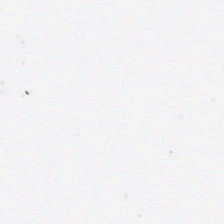This patch shows empty background.
